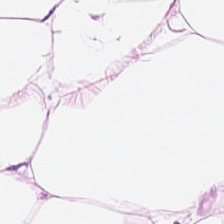H&E stain.
Impression — adipose.
